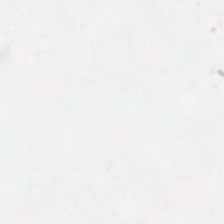20× equivalent magnification; H&E. This patch shows empty background.
